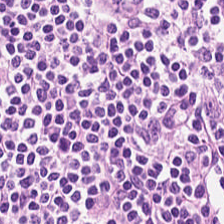The tissue here is lymphocytes.
